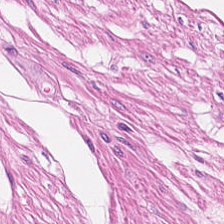Hematoxylin and eosin; 224×224 px tile. Muscularis.
